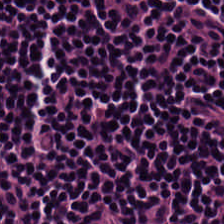The predominant tissue is lymphoid infiltrate.
